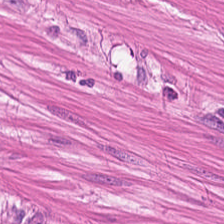{"tissue_type": "muscularis"}
